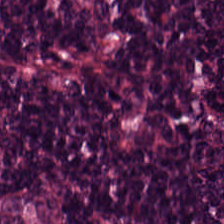Stain: H&E-stained tissue section.
Classification: lymphocytic infiltrate.
